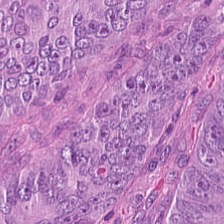Stain: H&E.
Tissue class: adenocarcinoma.
